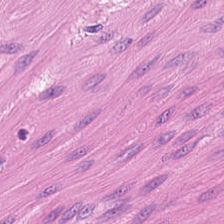Stain: hematoxylin-and-eosin stained section.
Tile size: 224×224 pixel tile.
Tissue: muscularis.
